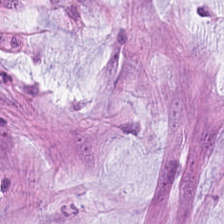This field is mucus.
